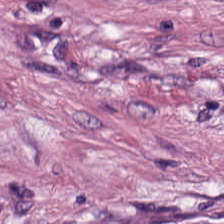Stain: H&E stain.
Acquisition: brightfield.
Resolution: 20× equivalent magnification.
Classification: tumor stroma.
